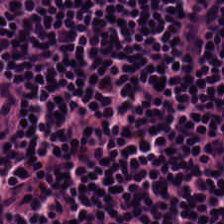Hematoxylin and eosin.
Histology → lymphocyte aggregate.
